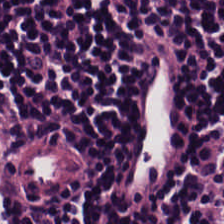Q: What is the predominant tissue type?
A: It is lymphocyte aggregate.
